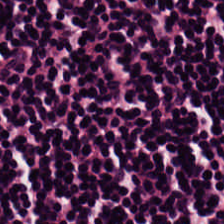This patch shows lymphocytes.
